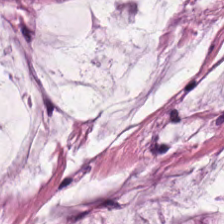H&E-stained tissue section. Histology — extracellular mucin.
